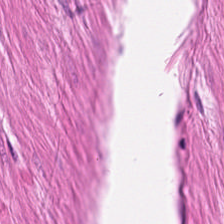0.5 microns per pixel. H&E-stained tissue section. FFPE tissue section.
Tissue type: smooth muscle.
